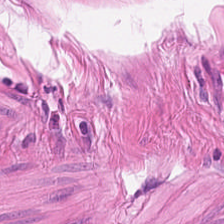H&E-stained tissue section. The tissue class is smooth muscle.
